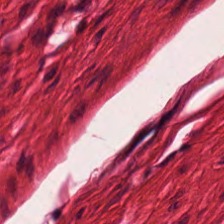FFPE tissue section; H&E stain — {"tissue_type": "smooth-muscle tissue"}
